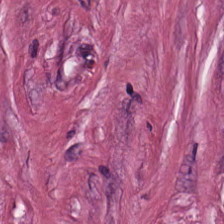H&E. Q: What is shown in this field?
A: The field shows cancer-associated stroma.
